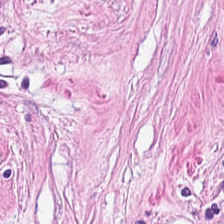224×224 px tile · H&E · FFPE — Q: Classify this patch.
A: This is cancer-associated stroma.
